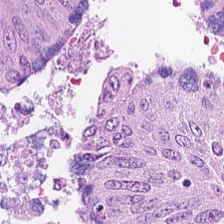Hematoxylin and eosin; brightfield microscopy. Showing malignant epithelium.
